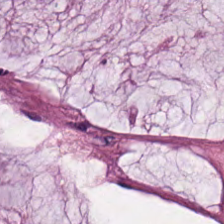H&E — mucus.
